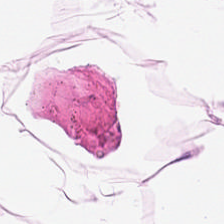Hematoxylin-and-eosin stained section · 224×224 px patch · WSI patch.
Predominant tissue — adipose.
